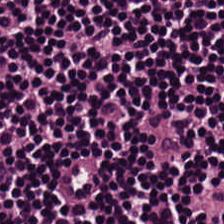Tissue — lymphocyte aggregate.
